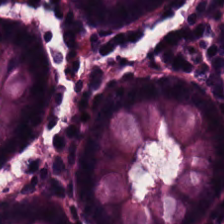H&E-stained tissue section.
This patch shows normal colon mucosa.
